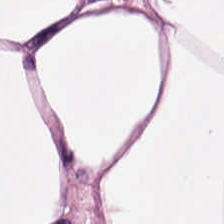H&E. Fat tissue.
